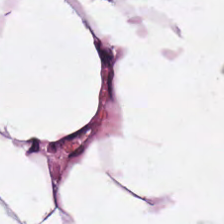H&E patch showing adipocytes.
